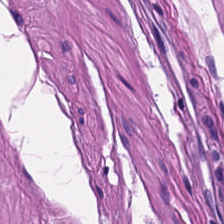Whole-slide-image patch. H&E stain.
This field is smooth muscle.
